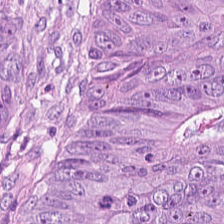Formalin-fixed paraffin-embedded section. 224×224 px patch. H&E-stained tissue section.
Colorectal adenocarcinoma epithelium.
